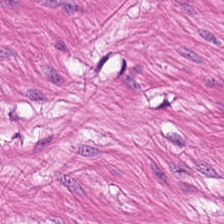Hematoxylin-and-eosin stained section — Q: What tissue type is shown here?
A: Smooth muscle.
